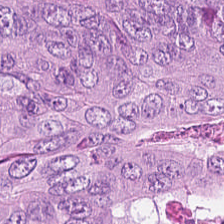{"tissue_type": "adenocarcinoma"}
